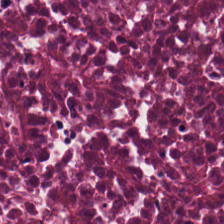Hematoxylin-and-eosin stained section.
The predominant tissue is necrotic debris.
